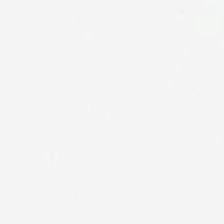FFPE tissue section · hematoxylin-and-eosin stained section — Field content = empty background.
